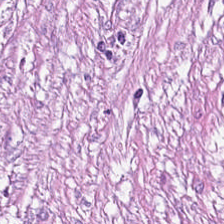Predominantly tumor stroma.
